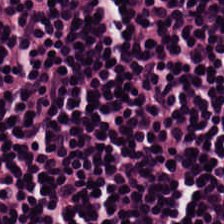H&E-stained tissue section. 224×224 pixel tile. 0.5 microns per pixel — This patch shows lymphocytes.
